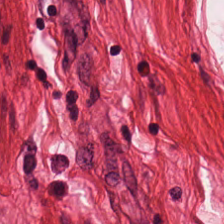H&E. This field is smooth-muscle tissue.
